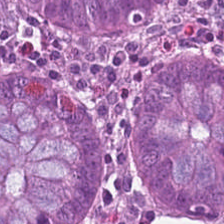224×224 px patch. Hematoxylin and eosin.
Non-neoplastic colon mucosa.
